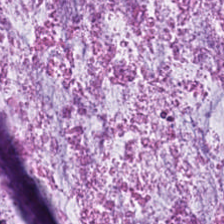Hematoxylin and eosin — Classification = extracellular mucin.
